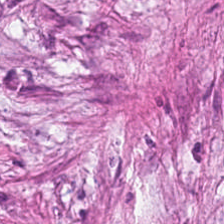FFPE. H&E stain — Q: Classify this patch.
A: Tumor-associated stroma.
